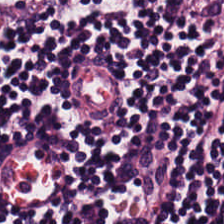Hematoxylin and eosin.
This patch shows lymphocytic infiltrate.
